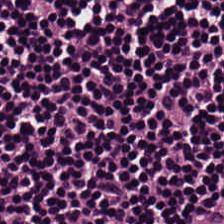Hematoxylin and eosin. 0.5 µm per pixel. Q: What is shown in this field?
A: It is lymphocytes.
